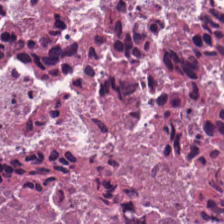{"tissue_type": "debris"}
